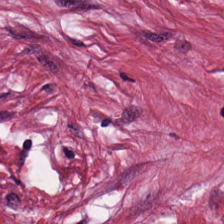Brightfield microscopy. H&E stain. 224×224 px tile.
Classification = tumor stroma.
